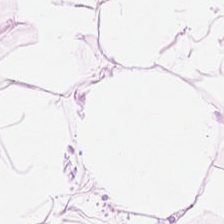The tissue class is fat tissue.
